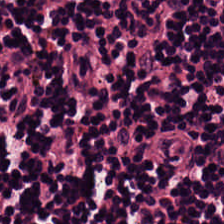Brightfield microscopy; H&E. Q: What type of tissue is this?
A: It is lymphocytic infiltrate.
